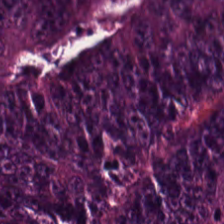FFPE · H&E stain.
Predominant tissue: adenocarcinoma.
